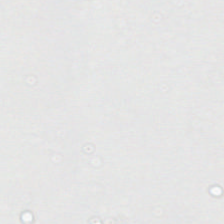Formalin-fixed paraffin-embedded section; H&E-stained tissue section — Classification = background (no tissue).
